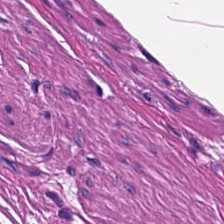Stain: H&E-stained tissue section.
Resolution: 20× equivalent magnification.
Acquisition: brightfield.
Predominant tissue: muscularis.
